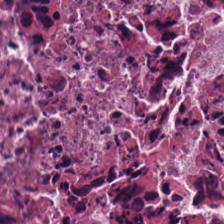Hematoxylin-and-eosin stained section. Cellular debris.
